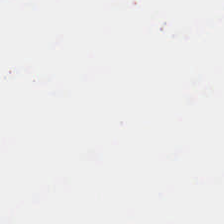Q: What does this patch show?
A: The field shows background.
